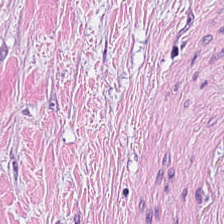224×224 px tile · H&E — Histology → tumor-associated stroma.
